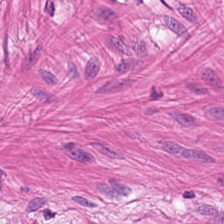H&E. Brightfield — Q: What does this patch show?
A: Smooth-muscle tissue.
